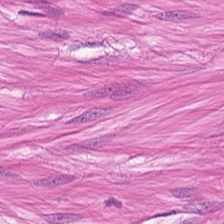Brightfield microscopy · H&E · FFPE — Smooth muscle.
